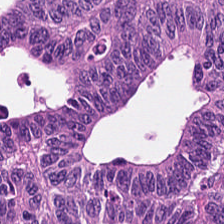H&E-stained tissue section. FFPE tissue section.
Malignant epithelium.
